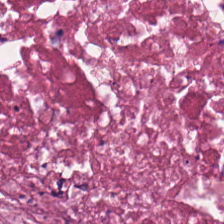224×224 pixel tile. H&E-stained tissue section — Classification — cellular debris.
